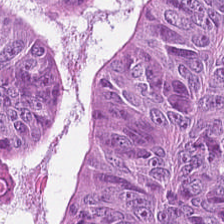H&E. Tissue type: colorectal adenocarcinoma.
